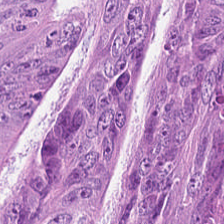Q: What does this patch show?
A: The field shows malignant epithelium.
